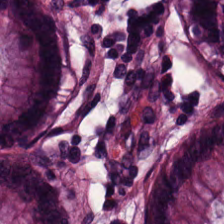Brightfield microscopy · H&E-stained tissue section.
{"tissue_type": "normal colon mucosa"}
